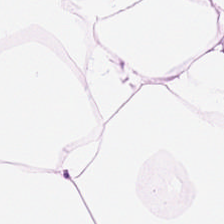H&E-stained tissue section. Q: Classify this patch.
A: The field shows adipose.
